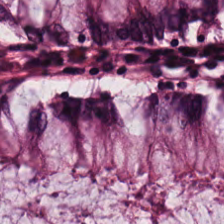Stain: hematoxylin-and-eosin stained section.
Tissue: normal colon mucosa.
